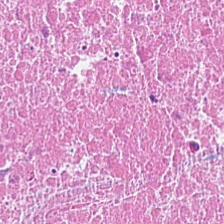Histology → cellular debris.
